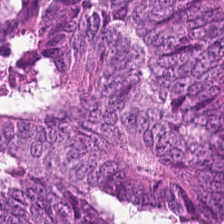H&E patch showing adenocarcinoma.
